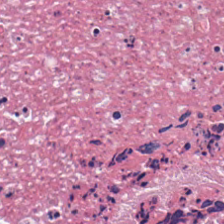H&E. This patch shows cellular debris.
